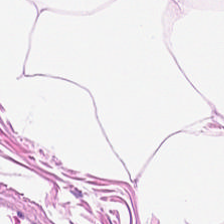FFPE tissue section · hematoxylin-and-eosin stained section — Q: Identify the tissue.
A: The field shows adipocytes.
